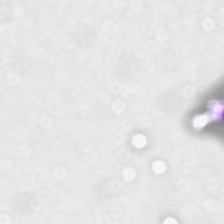Hematoxylin and eosin.
Empty field — background (no tissue).
